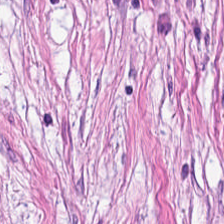Predominantly tumor-associated stroma.
